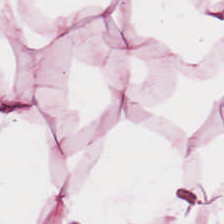20× equivalent magnification; H&E-stained tissue section — Q: What is the predominant tissue type?
A: This is adipose tissue.
